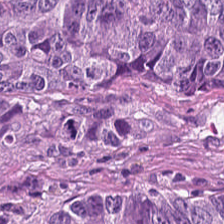H&E patch showing tumor epithelium.
